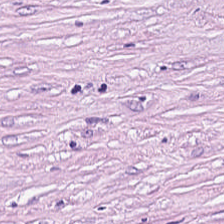H&E. 20× equivalent magnification.
Predominant tissue: desmoplastic stroma.
